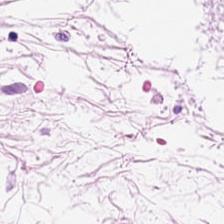H&E. This patch shows fat tissue.
